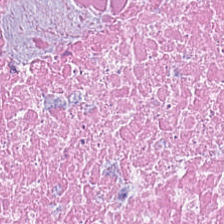Stain: hematoxylin and eosin.
Predominant tissue: debris.
